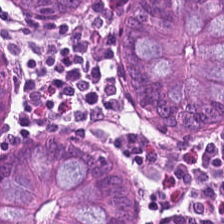Predominant tissue = benign colonic mucosa.
